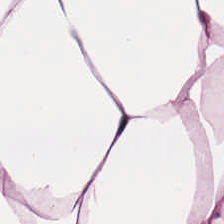Stain: H&E.
Tissue: adipose.
